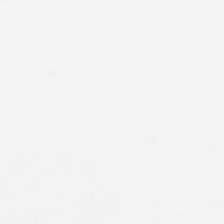H&E stain.
Classification — background (no tissue).
